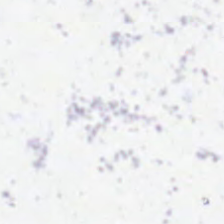Q: Classify this patch.
A: Background (no tissue).
